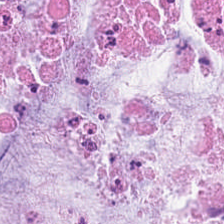H&E-stained tissue section. Impression → extracellular mucin.
